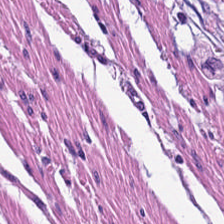Q: What tissue is shown?
A: The field shows smooth-muscle tissue.
